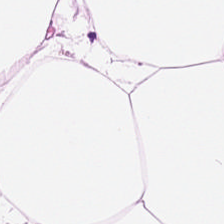Q: What does this patch show?
A: This is adipose.
